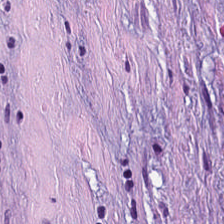224×224 px tile. H&E. Brightfield.
Predominantly cancer-associated stroma.
